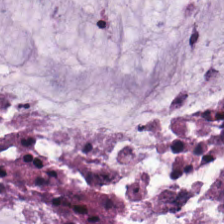The predominant tissue is extracellular mucin.
